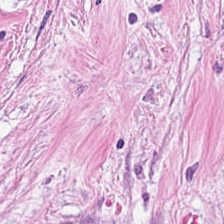Stain: H&E.
Preparation: FFPE.
Tissue type: cancer-associated stroma.
